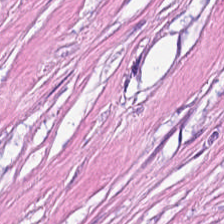224×224 px tile; H&E stain. Tissue type = desmoplastic stroma.
